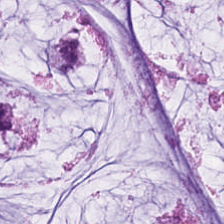The predominant tissue is mucus.
